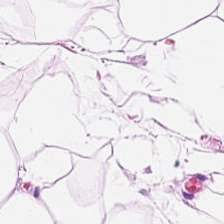H&E-stained tissue section.
Impression — adipose tissue.
